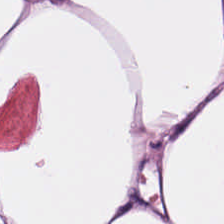Hematoxylin-and-eosin stained section — Predominantly adipocytes.
